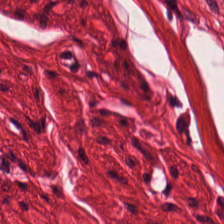Stain: H&E.
Preparation: FFPE tissue section.
Predominant tissue: smooth muscle.
